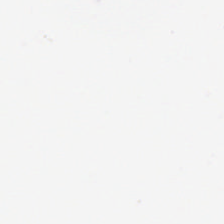H&E stain.
No tissue present; background only.
